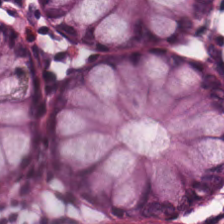Stain: hematoxylin-and-eosin stained section.
Tile size: 224×224 px tile.
Tissue type: benign colonic mucosa.
